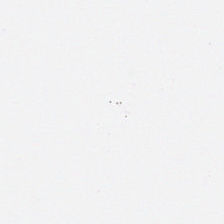Stain: hematoxylin and eosin.
Tile size: 224×224 pixel tile.
Content: no tissue.
